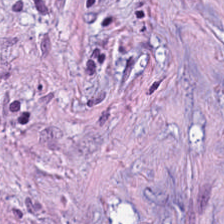Tissue — desmoplastic stroma.
